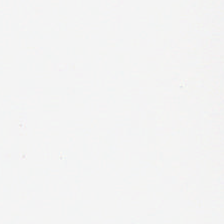FFPE · H&E stain.
Finding → empty background.
